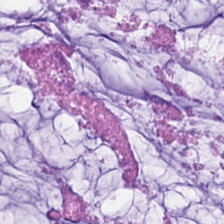H&E-stained tissue section. Mucin.
